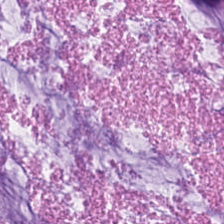FFPE. 0.5 µm/px. H&E stain.
The tissue here is extracellular mucin.
